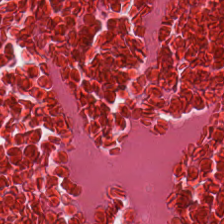Predominant tissue: debris.
